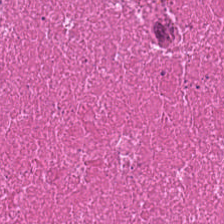{"tissue_type": "cellular debris"}
